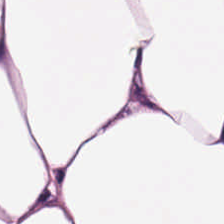Predominant tissue = fat tissue.
